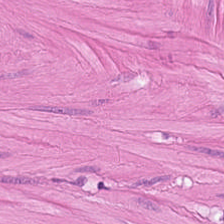0.5 µm per pixel. Hematoxylin-and-eosin stained section — This patch shows smooth-muscle tissue.
